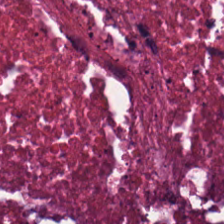Hematoxylin-and-eosin stained section.
Tissue — debris.
